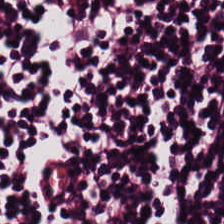H&E stain. FFPE tissue section.
Showing lymphocytic infiltrate.
